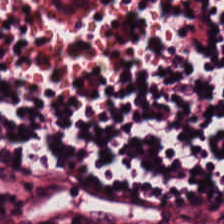H&E-stained tissue section. Histology — lymphoid infiltrate.
